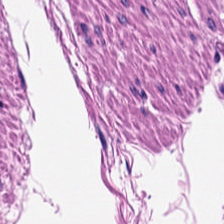H&E patch showing smooth-muscle tissue.
